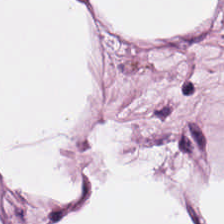Predominantly adipose tissue.
